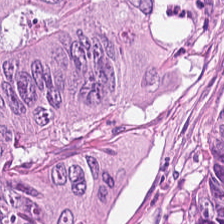Brightfield microscopy. Hematoxylin and eosin. 0.5 µm/px. Tissue: malignant epithelium.
